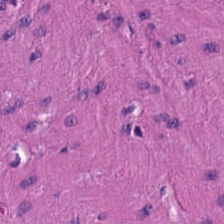Hematoxylin-and-eosin stained section.
This field is smooth muscle.
